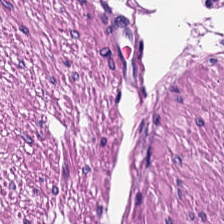Hematoxylin and eosin.
Q: Identify the tissue.
A: This is muscularis.
